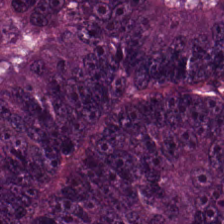H&E-stained section; the field shows adenocarcinoma.
